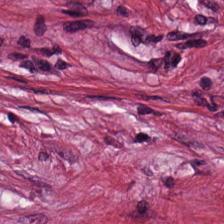Stain: H&E-stained tissue section.
Predominant tissue: tumor stroma.
